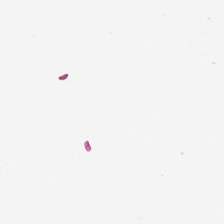Q: Classify this patch.
A: This is empty background.
